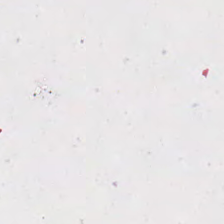H&E stain. Empty field — no tissue.
